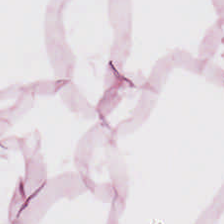Tissue = adipocytes.
